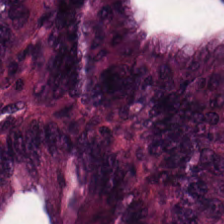Brightfield. Formalin-fixed paraffin-embedded section. Hematoxylin-and-eosin stained section — Showing adenocarcinoma.
